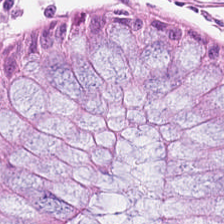FFPE · H&E — Showing normal colon mucosa.
